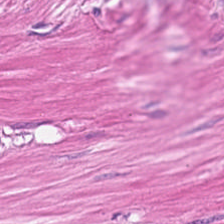H&E.
Histology → muscularis.
